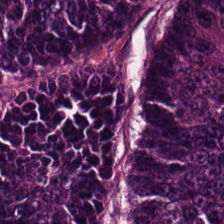Stain: hematoxylin-and-eosin stained section.
Preparation: formalin-fixed paraffin-embedded section.
Tile size: 224×224 px patch.
Predominant tissue: colorectal adenocarcinoma epithelium.
